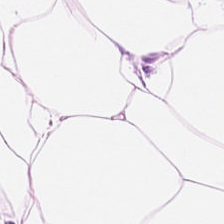H&E.
This field is adipose tissue.
